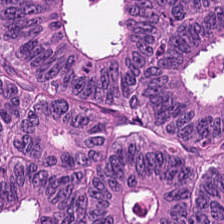Colorectal adenocarcinoma epithelium.
